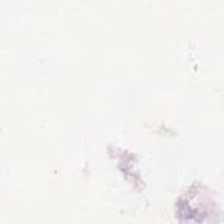H&E. Finding — empty background.
